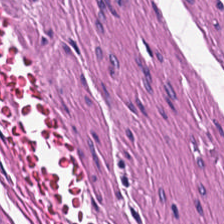FFPE; hematoxylin-and-eosin stained section. {"tissue_type": "smooth-muscle tissue"}
